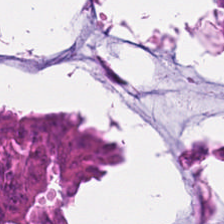Hematoxylin and eosin. Predominantly tumor epithelium.
